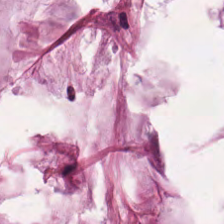Stain: H&E-stained tissue section.
Tissue: mucus.
